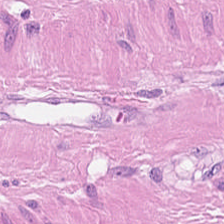H&E-stained tissue section — This patch shows smooth-muscle tissue.
